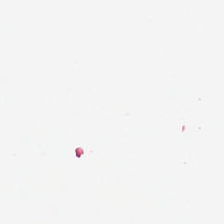This field is background (no tissue).
